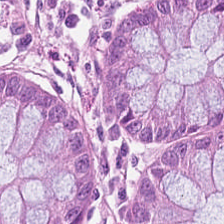224×224 pixel tile; H&E-stained tissue section — This field is non-neoplastic colon mucosa.
